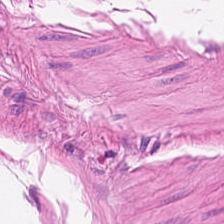H&E — Predominant tissue = smooth-muscle tissue.
